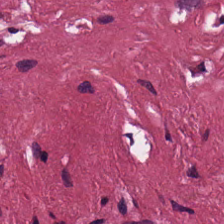Hematoxylin-and-eosin stained section — Predominant tissue: cancer-associated stroma.
